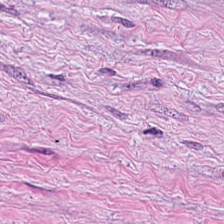Q: What is shown here?
A: This is tumor-associated stroma.
